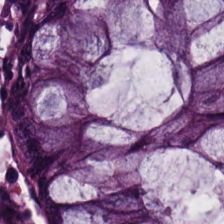Hematoxylin-and-eosin stained section; 224×224 pixel tile.
This patch shows normal colonic mucosa.
